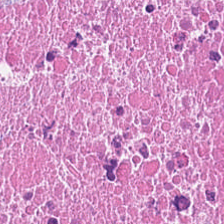0.5 microns per pixel · H&E stain.
Finding — debris.
